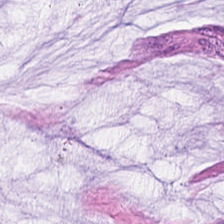H&E-stained tissue section. The tissue class is mucin.
